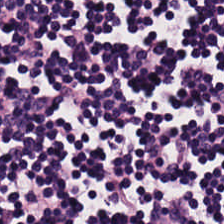H&E-stained section; the field shows lymphocyte aggregate.
